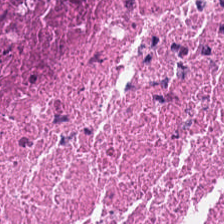Hematoxylin-and-eosin stained section.
This field is debris.
